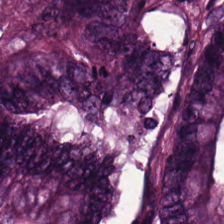The predominant tissue is colorectal adenocarcinoma.
